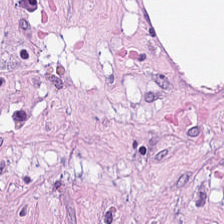Hematoxylin and eosin — Finding → tumor-associated stroma.
